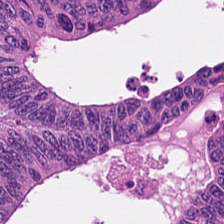H&E. Colorectal adenocarcinoma.
